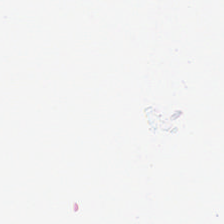224×224 px patch. 0.5 microns per pixel. H&E. Background — no tissue in this field.
